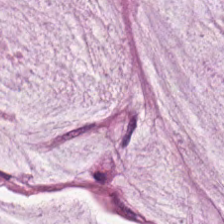H&E stain — Mucin.
